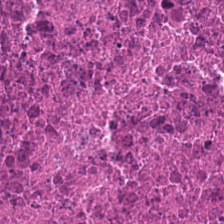H&E stain — Q: What is the predominant tissue type?
A: The field shows necrotic debris.
